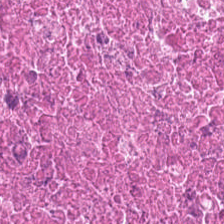H&E. FFPE. Whole-slide-image patch — Showing cellular debris.
